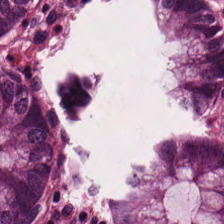H&E — The tissue here is non-neoplastic colon mucosa.
